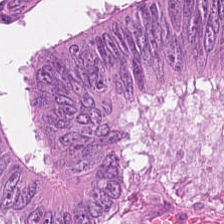H&E. 224×224 pixel tile — Tissue class = malignant epithelium.
